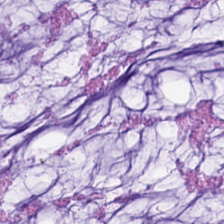Histology — mucin.
